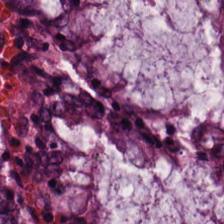Hematoxylin-and-eosin stained section; formalin-fixed paraffin-embedded section; 0.5 microns per pixel — This field is benign colonic mucosa.
